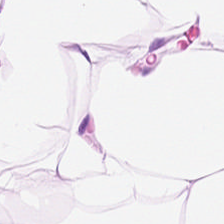H&E — Fat tissue.
